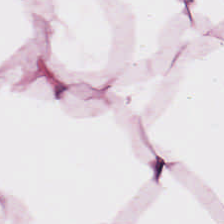Classification = adipose.
